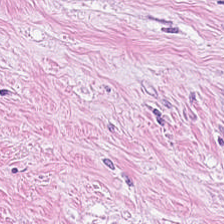This field is desmoplastic stroma.
